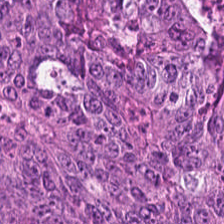Formalin-fixed paraffin-embedded section; H&E stain — Predominant tissue: malignant epithelium.
